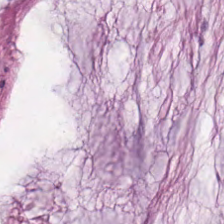Stain: hematoxylin and eosin.
Tissue type: mucin.
